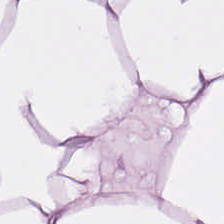0.5 µm/px; H&E.
Q: What is shown in this field?
A: Adipose.
